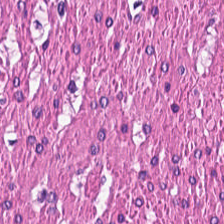Hematoxylin-and-eosin stained section · 224×224 pixel tile — Showing smooth muscle.
